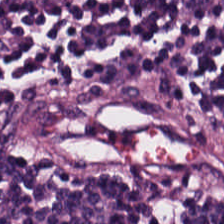H&E-stained tissue section. The predominant tissue is lymphocytic infiltrate.
